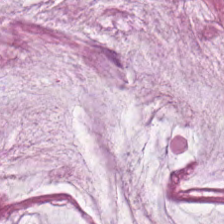Tissue class = mucus.
